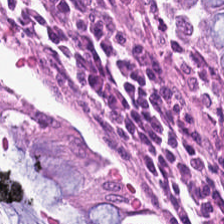Hematoxylin-and-eosin stained section — {"tissue_type": "normal colon mucosa"}
